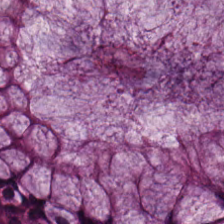Stain: H&E stain.
Preparation: formalin-fixed paraffin-embedded section.
Tile size: 224×224 pixel tile.
Tissue: non-neoplastic colon mucosa.
